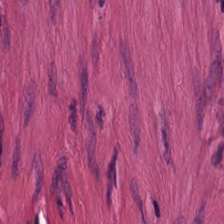H&E. Q: Classify this patch.
A: It is smooth muscle.
